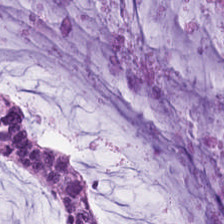Hematoxylin and eosin.
Tissue class = extracellular mucin.
